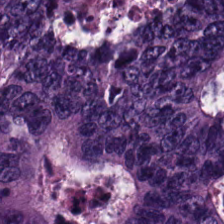Stain: hematoxylin and eosin.
Tissue class: colorectal adenocarcinoma epithelium.
